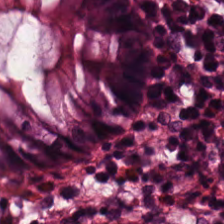Hematoxylin-and-eosin stained section. 224×224 px tile.
Predominant tissue = benign colonic mucosa.
